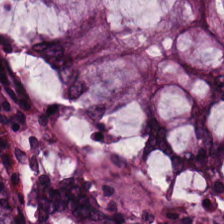Predominantly normal colonic mucosa.
